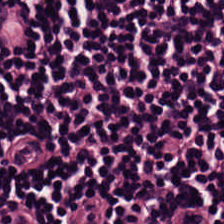224×224 px tile; H&E-stained tissue section; FFPE.
Q: What is shown in this field?
A: The field shows lymphocytes.
